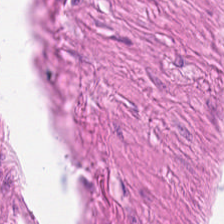Hematoxylin-and-eosin stained section — Tissue class — smooth muscle.
